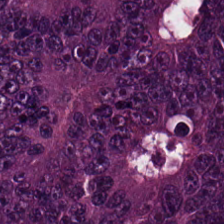Stain: H&E.
Preparation: formalin-fixed paraffin-embedded section.
Tissue type: tumor epithelium.
